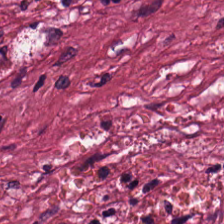Stain: hematoxylin-and-eosin stained section.
Tile size: 224×224 pixel tile.
Acquisition: whole-slide-image patch.
Predominant tissue: desmoplastic stroma.
